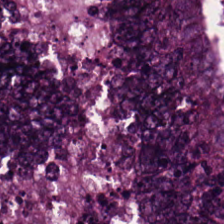Histology → adenocarcinoma.
